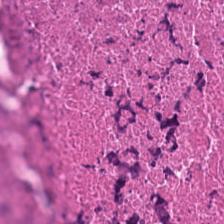H&E stain. Q: What is shown here?
A: The field shows debris.
